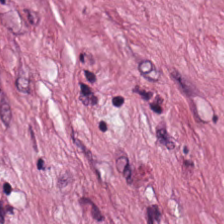H&E stain.
Histology — tumor stroma.
